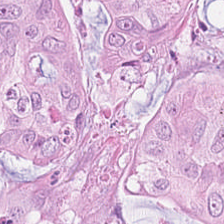224×224 pixel tile; H&E-stained tissue section; 0.5 µm/px. {"tissue_type": "tumor epithelium"}
